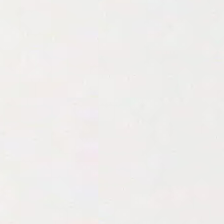H&E.
{"content": "background (no tissue)"}
